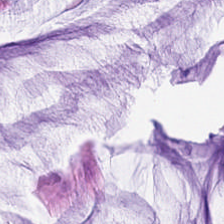Hematoxylin and eosin; whole-slide-image patch; formalin-fixed paraffin-embedded section — Showing mucin.
